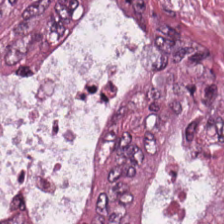224×224 px tile · 0.5 microns per pixel · H&E stain. This patch shows colorectal adenocarcinoma.
